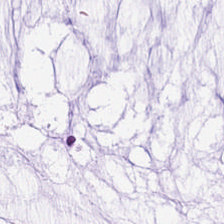Hematoxylin and eosin.
{"tissue_type": "mucus"}
